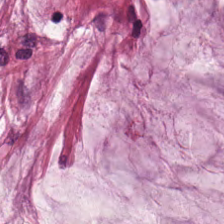FFPE tissue section. H&E-stained tissue section — Q: What is the predominant tissue type?
A: Mucin.
